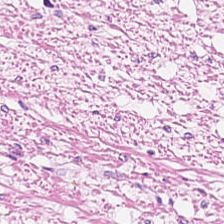H&E · 224×224 px tile. Tissue class — smooth muscle.
